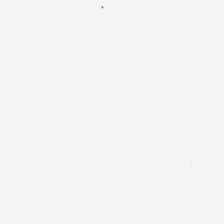Hematoxylin and eosin. Whole-slide-image patch.
The classification is empty background.
